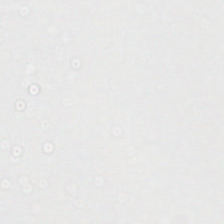Stain: hematoxylin and eosin.
Resolution: 0.5 µm per pixel.
Tile size: 224×224 pixel tile.
Field content: no tissue.
